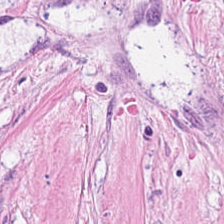H&E-stained tissue section showing tumor stroma.
